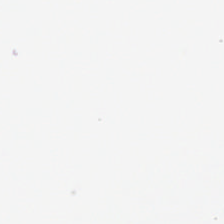H&E-stained tissue section · WSI patch — Background (no tissue).
